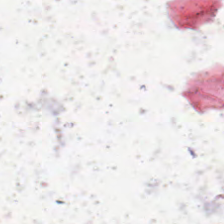Content = no tissue.
